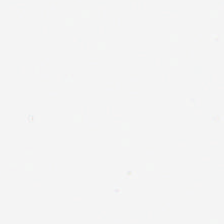Hematoxylin and eosin.
This field is background (no tissue).
